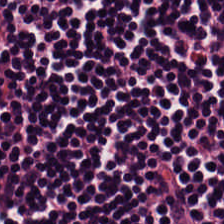Hematoxylin and eosin. Finding — lymphocytic infiltrate.
